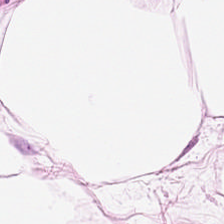Hematoxylin and eosin. The predominant tissue is adipose.
